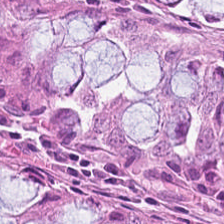0.5 µm/px; hematoxylin-and-eosin stained section.
Showing normal colon mucosa.
